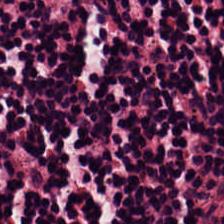Finding — lymphoid infiltrate.
